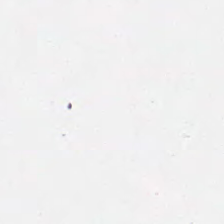Hematoxylin-and-eosin stained section.
Empty field — no tissue.
